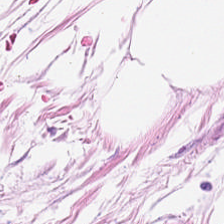Hematoxylin and eosin · 224×224 pixel tile.
Showing fat tissue.
